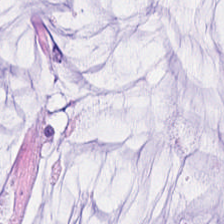Hematoxylin and eosin; 0.5 µm/px. Q: What type of tissue is this?
A: This is mucus.
